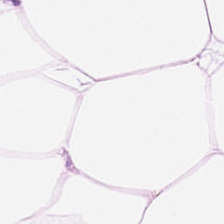Whole-slide-image patch. 20× equivalent magnification. Hematoxylin-and-eosin stained section. Showing adipose tissue.
